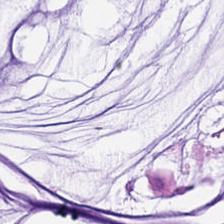Stain: H&E-stained tissue section.
Tissue: extracellular mucin.
